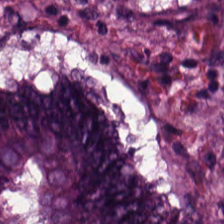H&E-stained tissue section.
Predominant tissue — colorectal adenocarcinoma.
